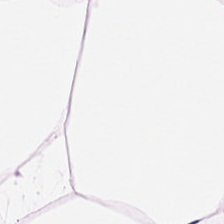Q: What is the predominant tissue type?
A: The field shows adipose.
